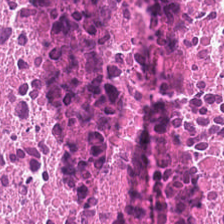H&E stain. 224×224 px patch. Tissue = necrotic debris.
